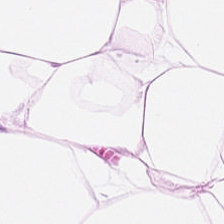H&E stain.
Adipose tissue.
